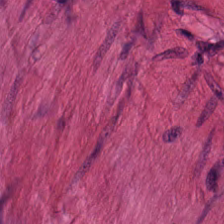224×224 px patch · H&E-stained tissue section · 0.5 µm/px — Finding — muscularis.
